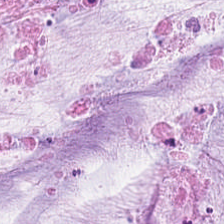H&E — This patch shows mucin.
